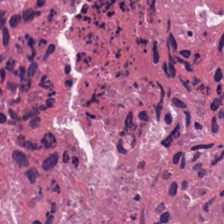H&E · FFPE tissue section.
This field is cellular debris.
